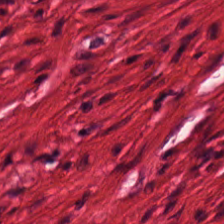Hematoxylin-and-eosin stained section.
Tissue = smooth-muscle tissue.
